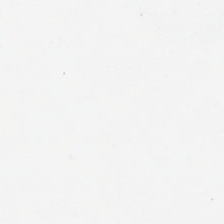WSI patch · H&E.
Empty field — empty background.
